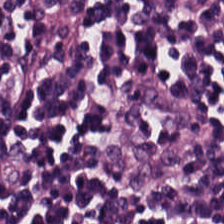Hematoxylin and eosin. Tissue class = lymphocytic infiltrate.
